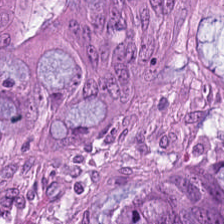0.5 microns per pixel · H&E. {"tissue_type": "adenocarcinoma"}
